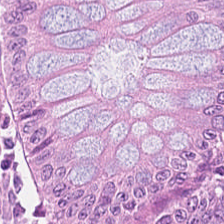Hematoxylin-and-eosin stained section · 20× equivalent magnification — Tissue type = normal colon mucosa.
